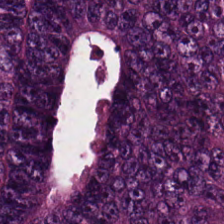H&E-stained tissue section. Q: Classify this patch.
A: Malignant epithelium.
